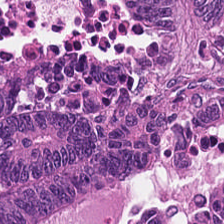Hematoxylin-and-eosin stained section — Q: What is the predominant tissue type?
A: The field shows adenocarcinoma.
